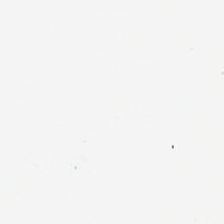Hematoxylin-and-eosin stained section — The classification is empty background.
